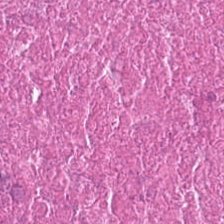FFPE tissue section · H&E stain — Predominantly debris.
